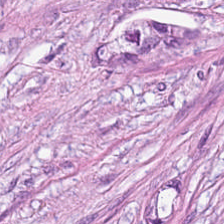Hematoxylin-and-eosin stained section.
Classification: tumor stroma.
